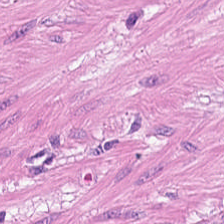H&E. Impression — muscularis.
